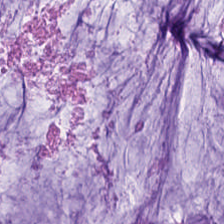Hematoxylin and eosin — Classification = mucin.
